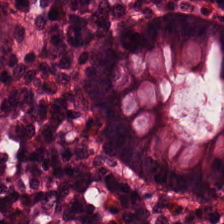Hematoxylin and eosin. This patch shows normal colonic mucosa.
